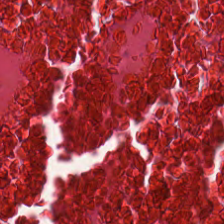Stain: H&E.
Tissue type: cellular debris.
